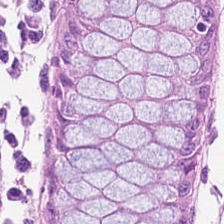Q: What is shown in this field?
A: It is benign colonic mucosa.
